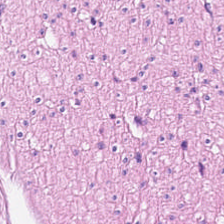H&E. This patch shows smooth-muscle tissue.
